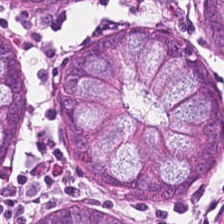0.5 microns per pixel. Hematoxylin-and-eosin stained section.
The predominant tissue is benign colonic mucosa.
